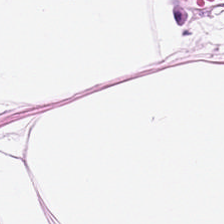Fat tissue.
